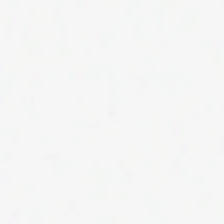This patch shows background (no tissue).
